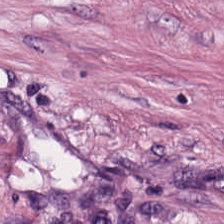Brightfield · hematoxylin-and-eosin stained section.
The tissue type is desmoplastic stroma.
